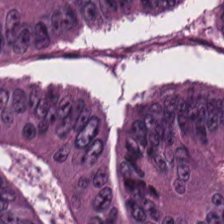Stain: H&E stain.
Tile size: 224×224 px tile.
Tissue: adenocarcinoma.
